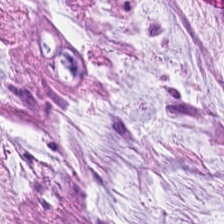Hematoxylin and eosin — Predominantly mucus.
